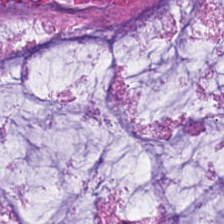224×224 px tile · brightfield microscopy · H&E. Q: What is the predominant tissue type?
A: This is mucus.
